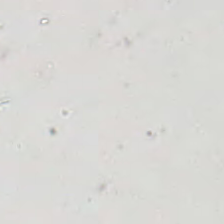0.5 µm per pixel; 224×224 px patch; hematoxylin and eosin.
This patch shows no tissue.
